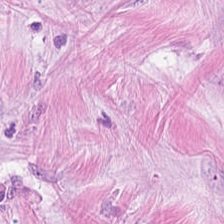Hematoxylin-and-eosin stained section. The tissue type is tumor stroma.
